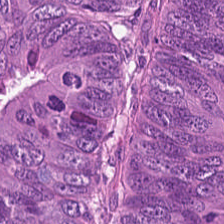Brightfield microscopy · H&E stain · FFPE. Showing colorectal adenocarcinoma.
